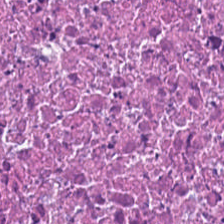Brightfield · H&E stain · 224×224 px patch.
The tissue here is necrotic debris.
